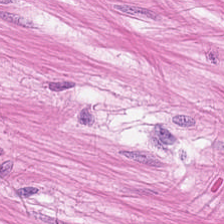Hematoxylin and eosin. Showing smooth-muscle tissue.
